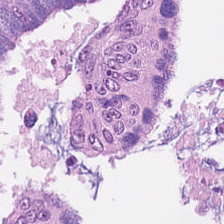H&E-stained tissue section · FFPE.
Q: What does this patch show?
A: The field shows malignant epithelium.
